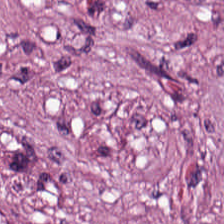Histology — desmoplastic stroma.
